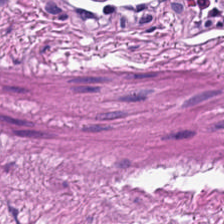Hematoxylin and eosin — The predominant tissue is muscularis.
